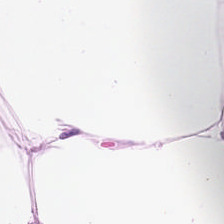Stain: H&E stain.
Resolution: 0.5 microns per pixel.
Acquisition: brightfield microscopy.
Predominant tissue: adipose tissue.
